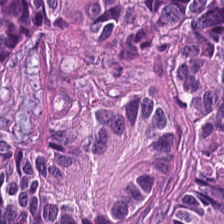H&E stain — This patch shows colorectal adenocarcinoma.
